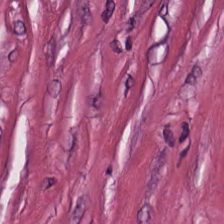Stain: hematoxylin and eosin.
Tissue type: cancer-associated stroma.
